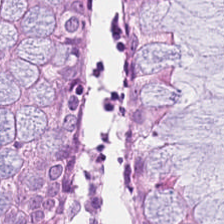Hematoxylin-and-eosin stained section; formalin-fixed paraffin-embedded section. The predominant tissue is normal colonic mucosa.
